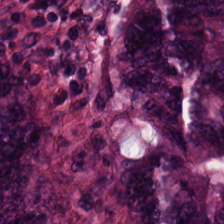Stain: H&E-stained tissue section.
Predominant tissue: adenocarcinoma.
